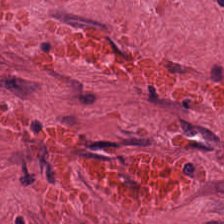H&E stain.
Tissue type = tumor-associated stroma.
